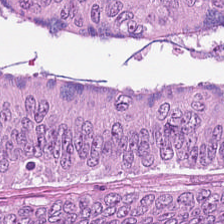H&E. Whole-slide-image patch.
Tissue — malignant epithelium.
